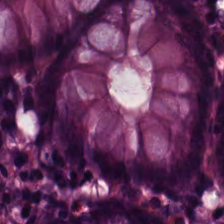H&E. 0.5 µm/px. Whole-slide-image patch — Tissue class: non-neoplastic colon mucosa.
